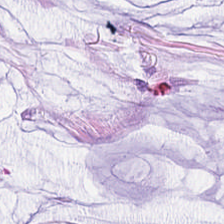H&E-stained tissue section.
Q: What tissue type is shown here?
A: It is extracellular mucin.
